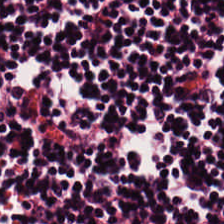224×224 px tile; hematoxylin-and-eosin stained section; whole-slide-image patch. Tissue type = lymphocyte aggregate.
